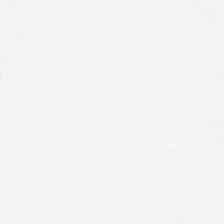Stain: hematoxylin and eosin.
Field content: background.
